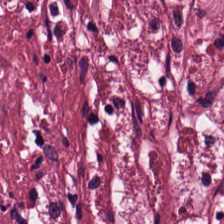FFPE. H&E. Q: What tissue is shown?
A: This is tumor-associated stroma.
